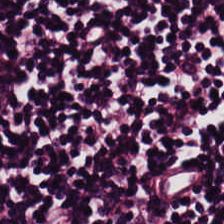20× equivalent magnification. H&E. Impression → lymphocytic infiltrate.
